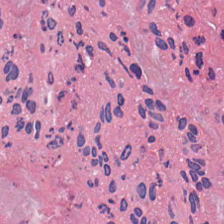WSI patch · 224×224 px patch · hematoxylin and eosin. Q: What tissue is shown?
A: The field shows cellular debris.
